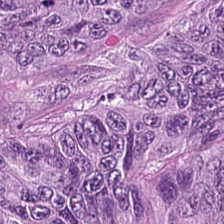Tissue class: colorectal adenocarcinoma.
